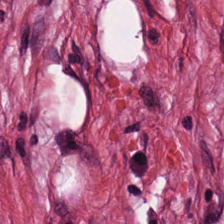FFPE tissue section. Hematoxylin and eosin.
{"tissue_type": "cancer-associated stroma"}
